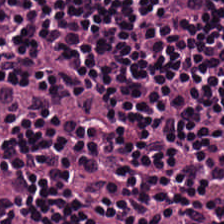Hematoxylin and eosin — Lymphoid infiltrate.
